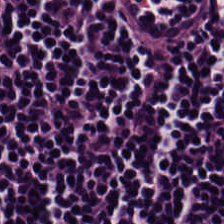Stain: H&E stain.
Classification: lymphocytes.
